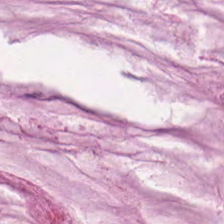Finding — mucin.
